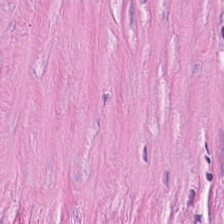H&E-stained tissue section; brightfield.
Showing desmoplastic stroma.
